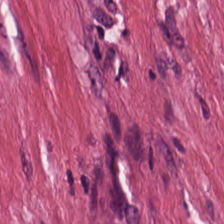Stain: H&E stain.
Tile size: 224×224 pixel tile.
Tissue type: cancer-associated stroma.
